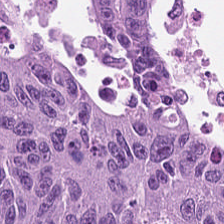H&E-stained tissue section · FFPE tissue section · brightfield.
{"tissue_type": "adenocarcinoma"}
